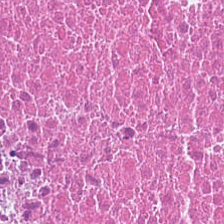Brightfield · H&E stain · 224×224 pixel tile.
Showing debris.
